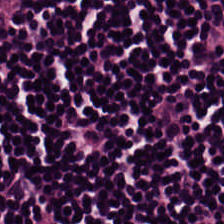WSI patch · hematoxylin and eosin.
Lymphocyte aggregate.
